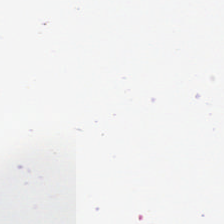Brightfield; H&E stain. No tissue present; background only.
